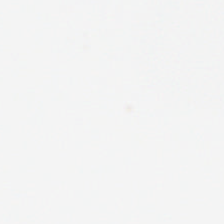Stain: H&E.
Resolution: 0.5 µm per pixel.
Acquisition: whole-slide-image patch.
Classification: background.
